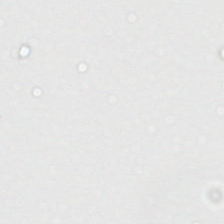20× equivalent magnification. Formalin-fixed paraffin-embedded section. Hematoxylin and eosin. No tissue present; background only.
